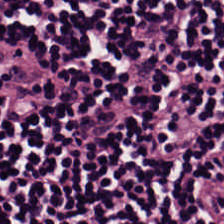H&E — Predominantly lymphoid infiltrate.
